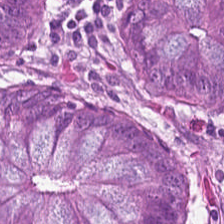FFPE tissue section; 20× equivalent magnification; hematoxylin and eosin. Tissue — benign colonic mucosa.
